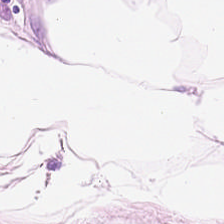Hematoxylin and eosin.
Showing adipose.
